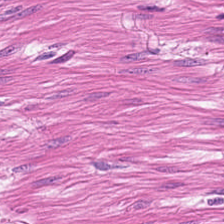Hematoxylin and eosin.
Predominant tissue = smooth muscle.
